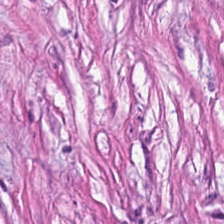Hematoxylin and eosin · WSI patch.
Classification — tumor-associated stroma.
